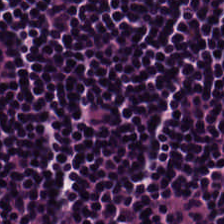H&E. 224×224 px tile. Histology — lymphocytes.
